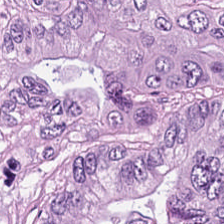Stain: H&E stain.
Classification: colorectal adenocarcinoma.
